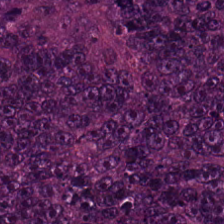Hematoxylin-and-eosin stained section. Brightfield. 224×224 px tile. Q: What type of tissue is this?
A: Malignant epithelium.
